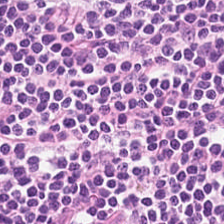Whole-slide-image patch. H&E stain. FFPE tissue section. The predominant tissue is lymphocytic infiltrate.
